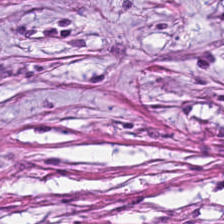H&E stain; 0.5 µm/px; FFPE.
The tissue here is desmoplastic stroma.
